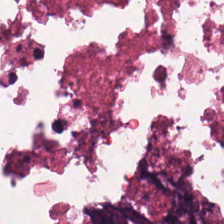H&E — Q: What does this patch show?
A: It is necrotic debris.
